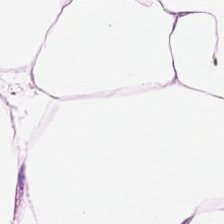The classification is adipose tissue.
